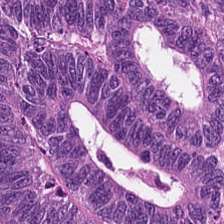FFPE · hematoxylin and eosin — Q: What is the predominant tissue type?
A: The field shows colorectal adenocarcinoma.
